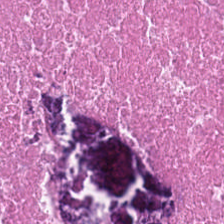0.5 µm/px; formalin-fixed paraffin-embedded section; H&E-stained tissue section.
This field is debris.
